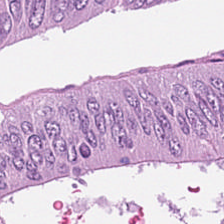Hematoxylin and eosin. WSI patch. This patch shows colorectal adenocarcinoma.
